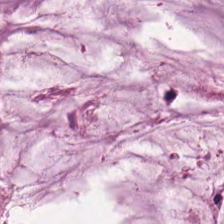H&E-stained tissue section — Q: What does this patch show?
A: Mucin.
